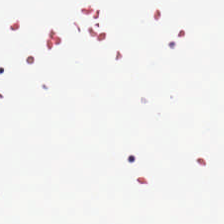0.5 microns per pixel. H&E — No tissue present; background only.
